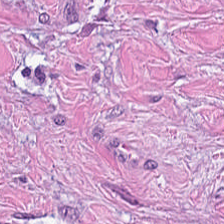H&E · 224×224 pixel tile. Histology — cancer-associated stroma.
